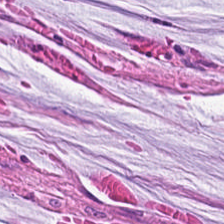Hematoxylin-and-eosin stained section — Predominant tissue: mucus.
